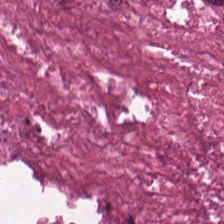Tissue class: cellular debris.
